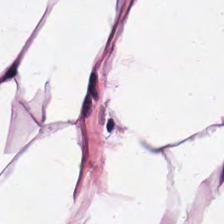H&E — Showing adipose tissue.
